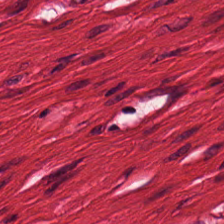H&E-stained tissue section. Predominant tissue — muscularis.
